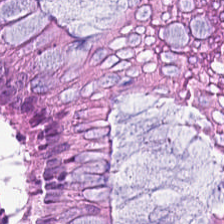Hematoxylin-and-eosin stained section — Tissue class: normal colonic mucosa.
